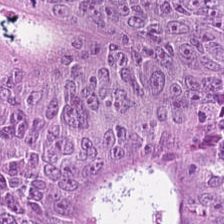Q: Classify this patch.
A: This is malignant epithelium.
